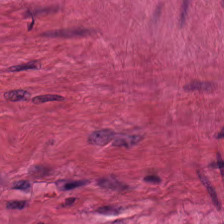Formalin-fixed paraffin-embedded section · H&E. The predominant tissue is muscularis.
